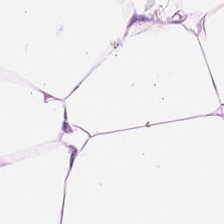H&E stain. Adipocytes.
